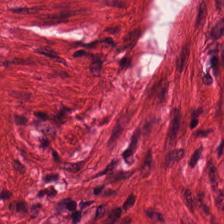H&E stain — Showing smooth-muscle tissue.
